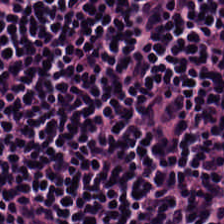FFPE · hematoxylin-and-eosin stained section · brightfield. This patch shows lymphoid infiltrate.
